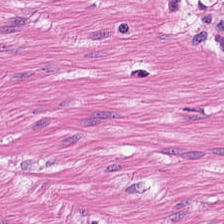H&E · 0.5 microns per pixel · 224×224 pixel tile — Showing smooth-muscle tissue.
